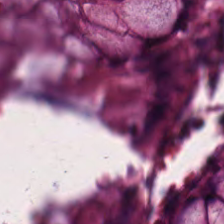Brightfield; H&E; 20× equivalent magnification. This field is non-neoplastic colon mucosa.
